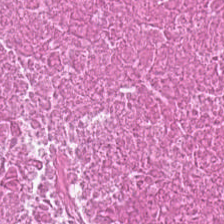H&E-stained tissue section. 224×224 px tile. Brightfield microscopy — The predominant tissue is necrotic debris.
